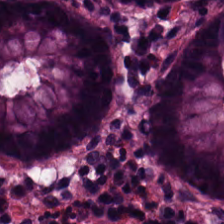H&E. 20× equivalent magnification. Whole-slide-image patch.
Tissue type: normal colonic mucosa.
